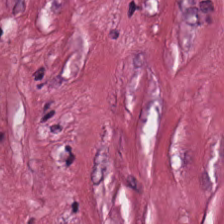H&E — Classification — tumor stroma.
